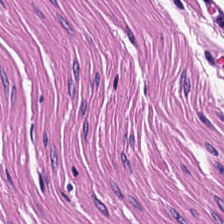Stain: H&E.
Tile size: 224×224 px tile.
Tissue class: smooth muscle.
